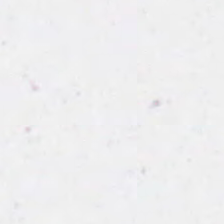Stain: hematoxylin-and-eosin stained section.
Tile size: 224×224 px patch.
Classification: background (no tissue).
